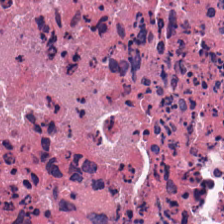Brightfield microscopy · hematoxylin-and-eosin stained section · 0.5 µm/px. Q: What is shown here?
A: It is cellular debris.
